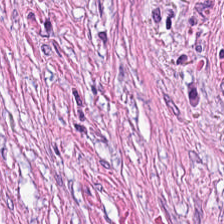H&E-stained tissue section. This field is tumor stroma.
